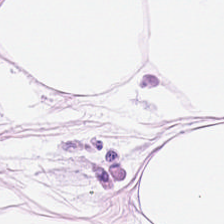H&E.
Adipose tissue.
